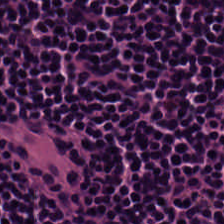The predominant tissue is lymphocytes.
